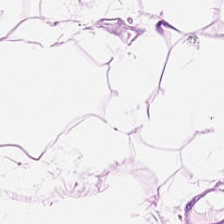The predominant tissue is adipose.
